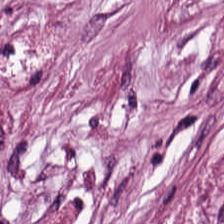Tissue class = desmoplastic stroma.
